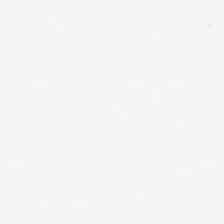Empty background.
